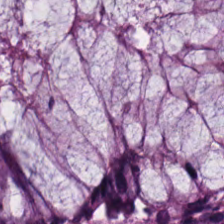Histology — normal colonic mucosa.
